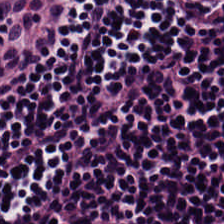H&E — lymphocytes.
